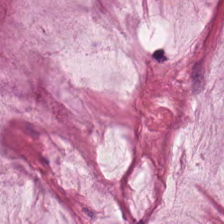Predominantly mucin.
